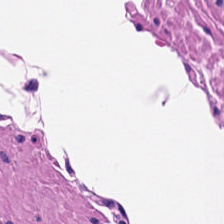0.5 microns per pixel; H&E-stained tissue section.
Q: Identify the tissue.
A: Smooth-muscle tissue.
